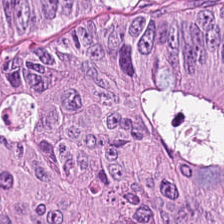H&E-stained tissue section — Q: What type of tissue is this?
A: It is colorectal adenocarcinoma epithelium.
